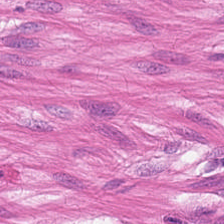H&E patch showing smooth muscle.
